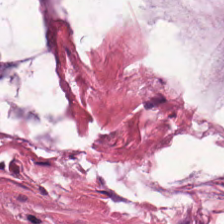H&E-stained tissue section — Impression — mucin.
